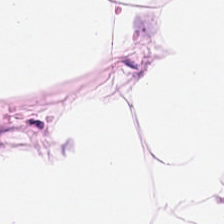Hematoxylin-and-eosin stained section — Tissue class = fat tissue.
